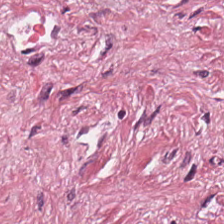H&E-stained tissue section; brightfield. {"tissue_type": "tumor-associated stroma"}
